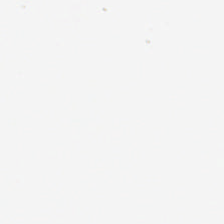224×224 px tile · 20× equivalent magnification · hematoxylin-and-eosin stained section. {"content": "background (no tissue)"}
